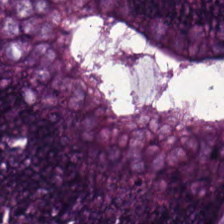Hematoxylin and eosin · 0.5 microns per pixel.
Impression — adenocarcinoma.
